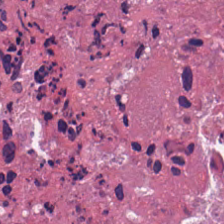224×224 px tile; hematoxylin-and-eosin stained section — The tissue here is cellular debris.
